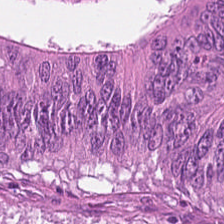Q: What is shown here?
A: Tumor epithelium.
